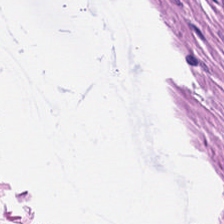Hematoxylin and eosin. {"tissue_type": "muscularis"}
